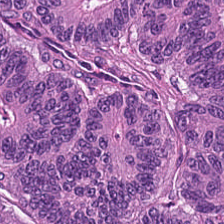WSI patch · H&E — Impression → tumor epithelium.
